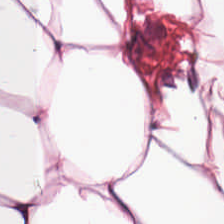Hematoxylin-and-eosin stained section · 224×224 px patch. Q: What tissue is shown?
A: Fat tissue.
